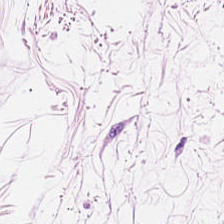H&E. 20× equivalent magnification. FFPE.
This field is adipose tissue.
